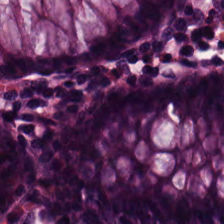224×224 px tile; hematoxylin-and-eosin stained section; 0.5 µm per pixel. Non-neoplastic colon mucosa.
